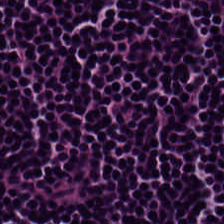Hematoxylin and eosin · 224×224 px tile.
Tissue type: lymphocytes.
